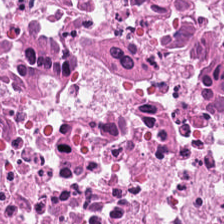Hematoxylin and eosin · whole-slide-image patch — Cellular debris.
